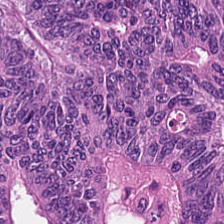H&E stain. 224×224 pixel tile.
Colorectal adenocarcinoma.
